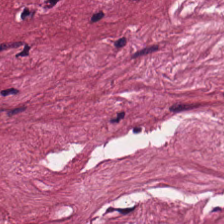0.5 µm/px. H&E-stained tissue section — Tissue type = cancer-associated stroma.
